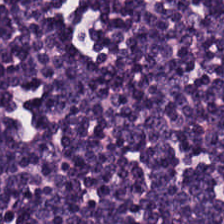H&E-stained tissue section.
Predominantly lymphocytic infiltrate.
